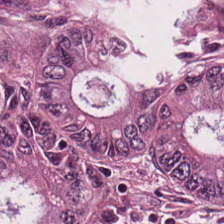The classification is malignant epithelium.
